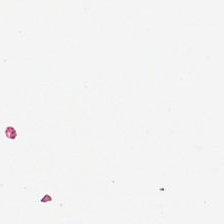Hematoxylin and eosin; 224×224 px patch — This patch shows background (no tissue).
